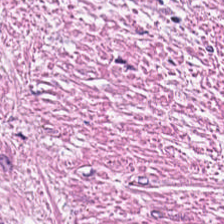This field is tumor stroma.
